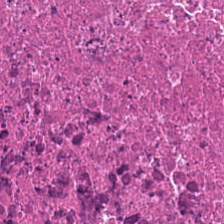Classification: debris.
